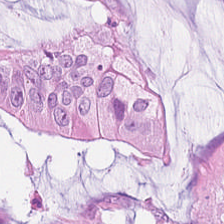Brightfield microscopy. FFPE tissue section. Hematoxylin-and-eosin stained section. Q: Identify the tissue.
A: This is colorectal adenocarcinoma epithelium.
